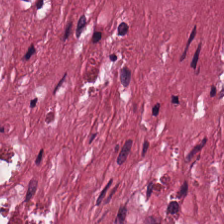224×224 px tile · hematoxylin and eosin · brightfield microscopy.
{"tissue_type": "desmoplastic stroma"}
